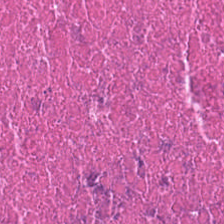Q: What is shown in this field?
A: The field shows necrotic debris.
